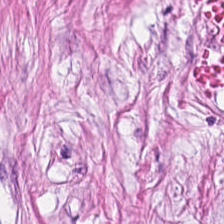H&E-stained tissue section.
This field is desmoplastic stroma.
